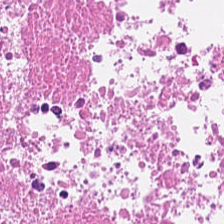H&E-stained tissue section. Brightfield.
Impression — debris.
